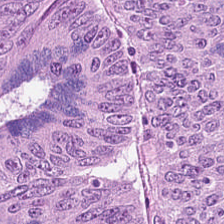Tissue class = tumor epithelium.
